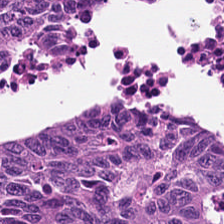Hematoxylin-and-eosin stained section. Formalin-fixed paraffin-embedded section. 224×224 pixel tile. Adenocarcinoma.
